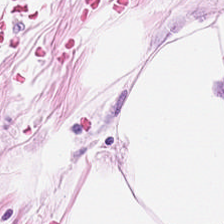Hematoxylin and eosin.
The tissue class is adipose.
